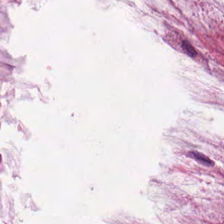H&E-stained tissue section.
Showing mucin.
